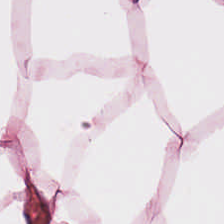Tissue type — adipose tissue.
